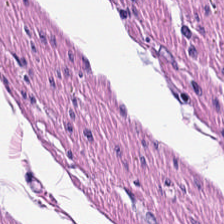FFPE; hematoxylin-and-eosin stained section — Predominantly muscularis.
